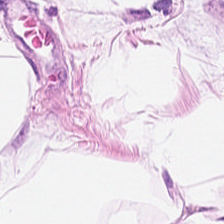Hematoxylin-and-eosin stained section. 20× equivalent magnification.
Predominant tissue = adipocytes.
